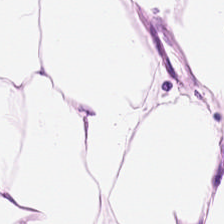Hematoxylin-and-eosin stained section. 0.5 µm per pixel. Finding → fat tissue.
